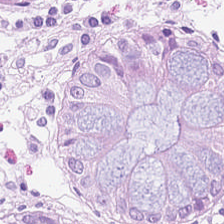H&E — This patch shows benign colonic mucosa.
